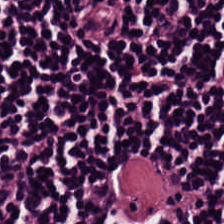H&E stain.
Predominantly lymphocytic infiltrate.
